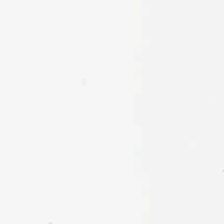Stain: H&E stain.
Field content: empty background.
